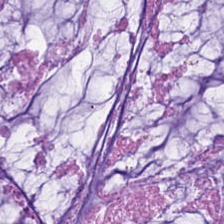Hematoxylin-and-eosin stained section. 224×224 pixel tile — Q: What tissue type is shown here?
A: It is extracellular mucin.
